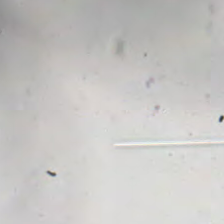Hematoxylin-and-eosin stained section · FFPE tissue section · 0.5 µm/px — Classification: empty background.
